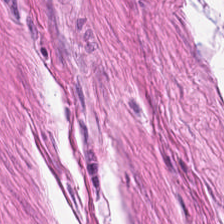H&E — Predominantly smooth muscle.
